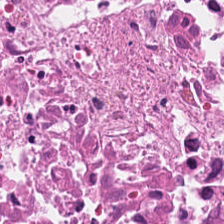Hematoxylin-and-eosin stained section. Tissue type — necrotic debris.
